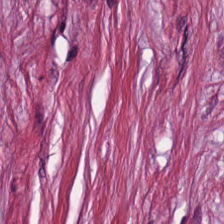Showing cancer-associated stroma.
